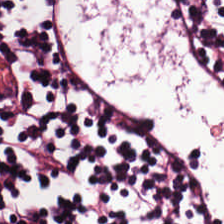Hematoxylin-and-eosin stained section. Q: What tissue type is shown here?
A: Lymphocytic infiltrate.
